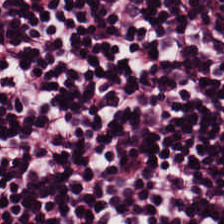224×224 px tile; H&E.
Histology — lymphocyte aggregate.
